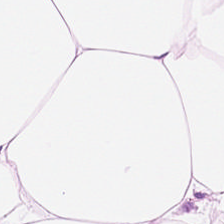H&E.
{"tissue_type": "adipose"}
